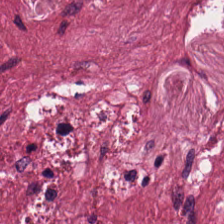FFPE tissue section · 20× equivalent magnification · H&E stain.
Showing tumor-associated stroma.
